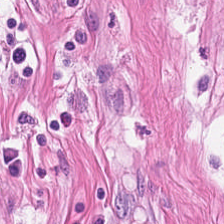H&E-stained tissue section. Tissue type = smooth muscle.
